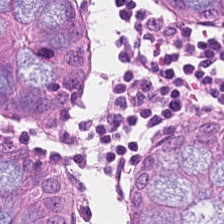Stain: hematoxylin-and-eosin stained section.
Tissue type: normal colon mucosa.
